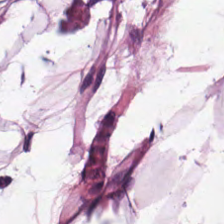Stain: hematoxylin and eosin.
Classification: adipose tissue.
